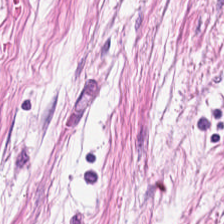H&E-stained tissue section. This patch shows tumor stroma.
